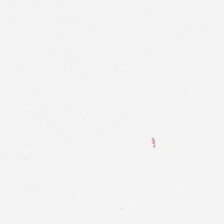FFPE; H&E-stained tissue section; brightfield microscopy. This field is background (no tissue).
